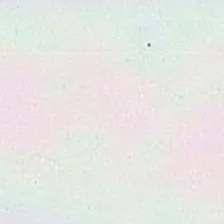Hematoxylin-and-eosin stained section. The content is no tissue.
